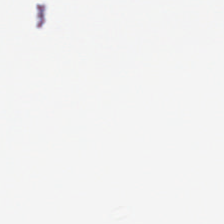H&E-stained tissue section. The content is no tissue.
